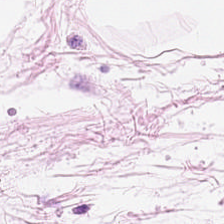Hematoxylin-and-eosin stained section. This patch shows fat tissue.
